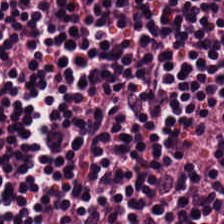Stain: hematoxylin and eosin.
Preparation: FFPE tissue section.
Tissue type: lymphocytic infiltrate.
